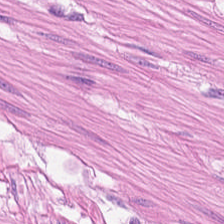H&E-stained tissue section; WSI patch.
{"tissue_type": "muscularis"}
